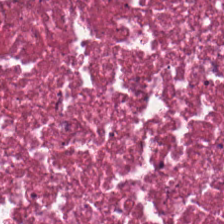H&E stain · FFPE · 0.5 µm per pixel. Showing necrotic debris.
